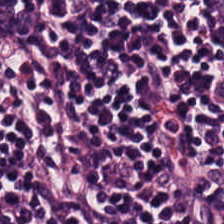0.5 µm per pixel; H&E; FFPE. Tissue class = lymphocytic infiltrate.
